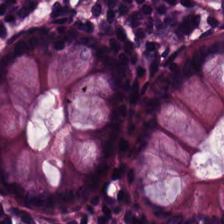FFPE. 224×224 px patch. H&E stain — {"tissue_type": "non-neoplastic colon mucosa"}
